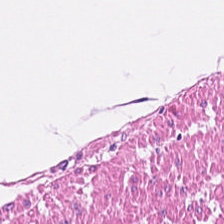H&E. This patch shows smooth-muscle tissue.
